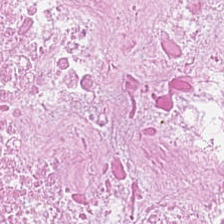Stain: hematoxylin-and-eosin stained section.
Resolution: 20× equivalent magnification.
Tile size: 224×224 pixel tile.
Tissue: cellular debris.
